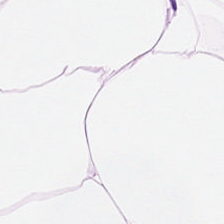Brightfield microscopy; H&E — Tissue class: adipose.
